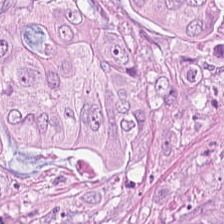Hematoxylin-and-eosin stained section.
Impression — malignant epithelium.
